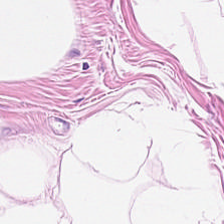H&E-stained tissue section. Brightfield. Formalin-fixed paraffin-embedded section — This patch shows adipose tissue.
